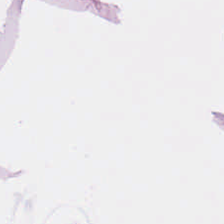{"tissue_type": "adipose"}
